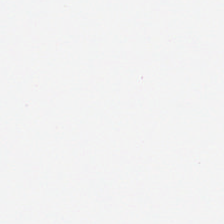No tissue present; background only.
